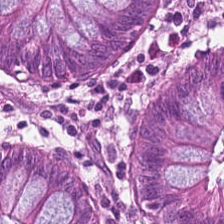Formalin-fixed paraffin-embedded section · 224×224 px tile · hematoxylin-and-eosin stained section — This field is normal colonic mucosa.
